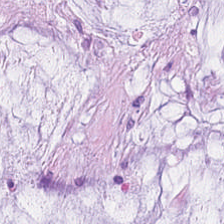H&E-stained tissue section — Classification = mucus.
